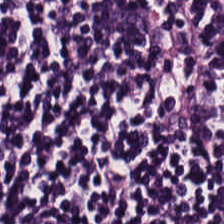Hematoxylin-and-eosin stained section — Tissue class: lymphocytic infiltrate.
